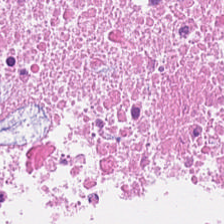H&E — Q: Identify the tissue.
A: The field shows debris.
